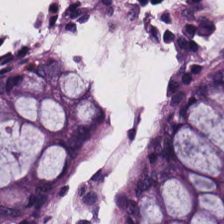H&E-stained tissue section · whole-slide-image patch · 0.5 µm per pixel.
The predominant tissue is normal colonic mucosa.
